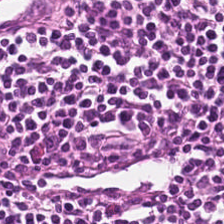Classification: lymphocytes.
